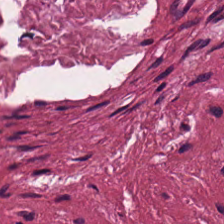20× equivalent magnification · H&E — Q: Classify this patch.
A: It is tumor stroma.
